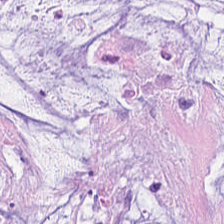H&E-stained tissue section.
Q: What tissue is shown?
A: Extracellular mucin.
